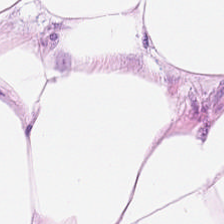0.5 microns per pixel · hematoxylin-and-eosin stained section — Showing adipose tissue.
